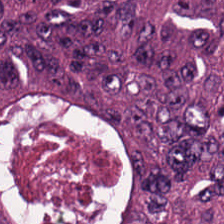Brightfield · H&E.
Q: Identify the tissue.
A: Tumor epithelium.
